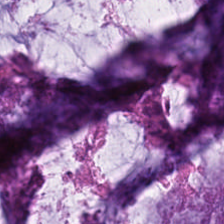Tissue class = extracellular mucin.
